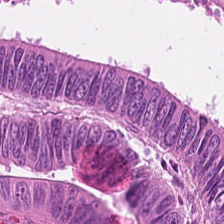H&E. The predominant tissue is tumor epithelium.
